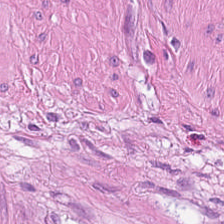20× equivalent magnification. H&E stain. FFPE tissue section.
This field is muscularis.
